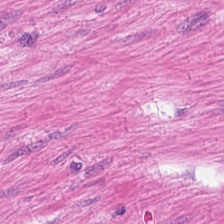H&E stain.
Tissue type: smooth-muscle tissue.
